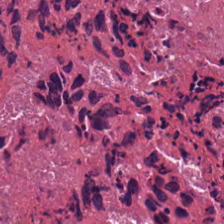Hematoxylin and eosin.
Predominant tissue — cellular debris.
